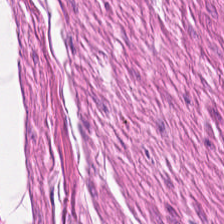Hematoxylin and eosin.
Tissue: muscularis.
